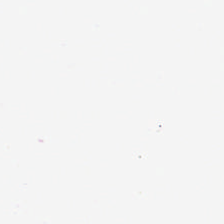FFPE tissue section · H&E stain.
Histology → background (no tissue).
